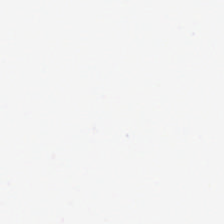H&E. This field is background (no tissue).
